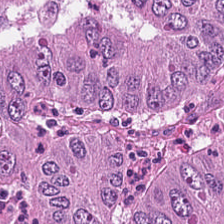H&E stain — Q: Identify the tissue.
A: This is adenocarcinoma.
